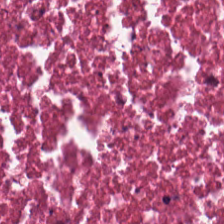0.5 microns per pixel. H&E-stained tissue section. 224×224 px patch — {"tissue_type": "cellular debris"}
